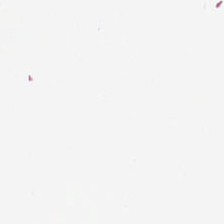This field is background (no tissue).
